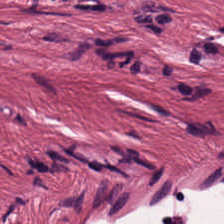H&E stain; FFPE; 0.5 microns per pixel — Histology → tumor-associated stroma.
